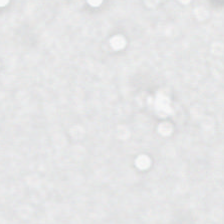This field is background (no tissue).
